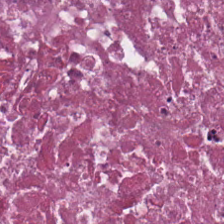Predominantly necrotic debris.
